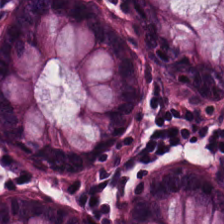Hematoxylin-and-eosin stained section. Tissue type — normal colon mucosa.
